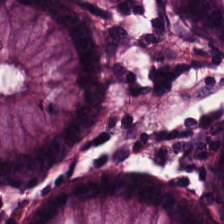Stain: hematoxylin-and-eosin stained section.
Predominant tissue: normal colon mucosa.
